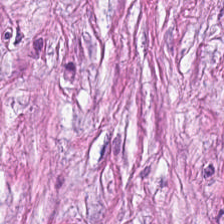H&E.
Q: What tissue type is shown here?
A: This is cancer-associated stroma.
